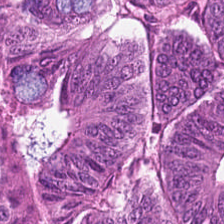Histology — colorectal adenocarcinoma epithelium.
